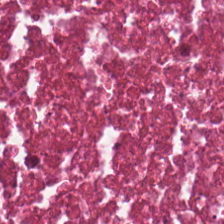H&E patch showing cellular debris.
